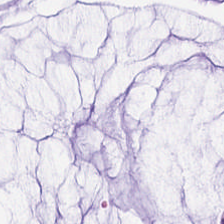Hematoxylin and eosin — Q: Classify this patch.
A: It is mucin.
